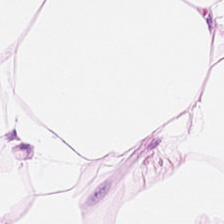Stain: H&E-stained tissue section.
Tissue type: fat tissue.
